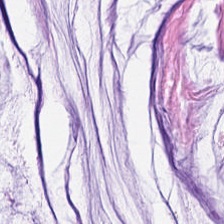224×224 px tile. 20× equivalent magnification. H&E.
{"tissue_type": "mucin"}
